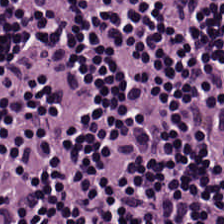Hematoxylin-and-eosin stained section — Q: Classify this patch.
A: The field shows lymphoid infiltrate.
